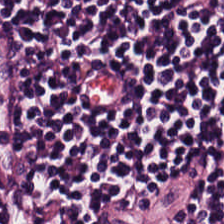This patch shows lymphocytic infiltrate.
